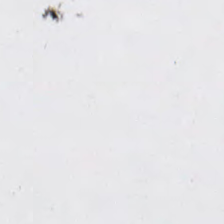H&E-stained tissue section.
Background — no tissue in this field.
